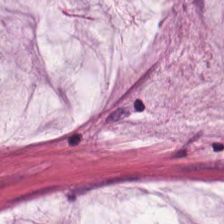H&E stain.
The predominant tissue is mucin.
